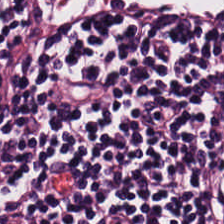Lymphoid infiltrate.
